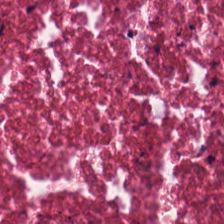H&E stain.
Necrotic debris.
